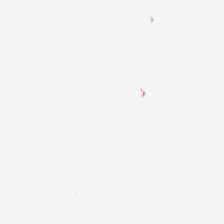Empty background.
